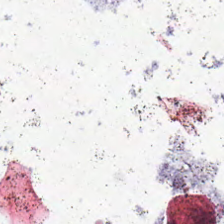H&E — Content = background.
